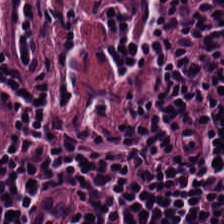224×224 px patch. Hematoxylin and eosin. The tissue type is lymphocyte aggregate.
